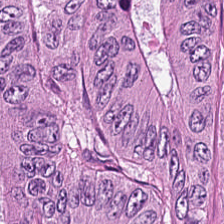Hematoxylin-and-eosin stained section; 0.5 µm/px. The tissue is colorectal adenocarcinoma.
